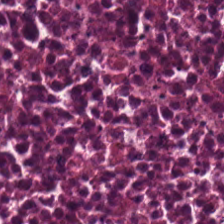0.5 microns per pixel; H&E stain.
This field is debris.
